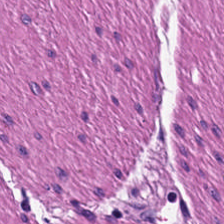Hematoxylin and eosin.
The tissue here is smooth muscle.
